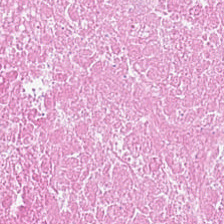Stain: hematoxylin-and-eosin stained section.
Tissue class: debris.
